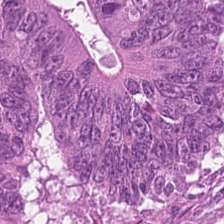0.5 µm per pixel · H&E-stained tissue section.
Q: Identify the tissue.
A: Colorectal adenocarcinoma.
